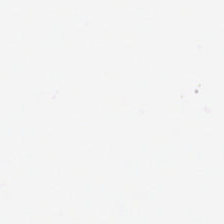0.5 µm/px; brightfield; H&E stain.
Q: Classify this patch.
A: This is empty background.
